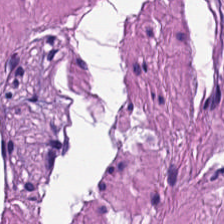Hematoxylin and eosin; 224×224 px tile. Tissue = smooth muscle.
